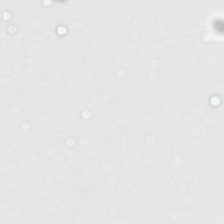Hematoxylin and eosin · formalin-fixed paraffin-embedded section. This patch shows empty background.
